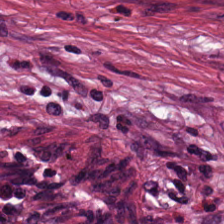Tissue class — desmoplastic stroma.
